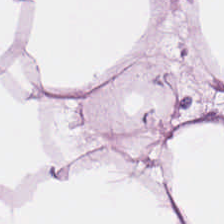The tissue here is adipose.
